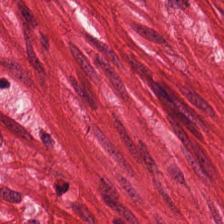Predominantly smooth muscle.
